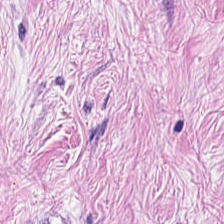H&E.
Showing tumor-associated stroma.
